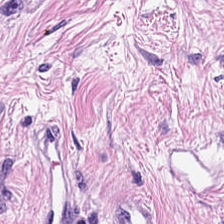0.5 µm/px. Hematoxylin and eosin.
Impression — desmoplastic stroma.
